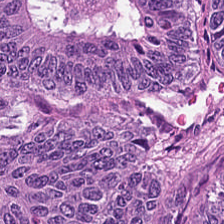H&E stain — Q: Identify the tissue.
A: Tumor epithelium.
